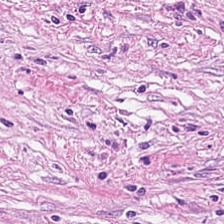224×224 pixel tile; H&E-stained tissue section — Tissue type: desmoplastic stroma.
